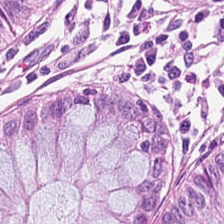Hematoxylin-and-eosin section: normal colon mucosa.
